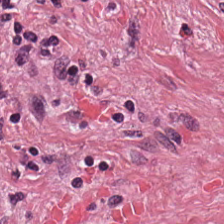0.5 µm/px; H&E-stained tissue section.
The predominant tissue is tumor-associated stroma.
